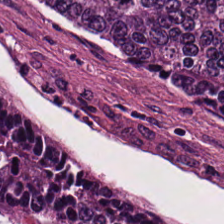Hematoxylin-and-eosin stained section. Impression → malignant epithelium.
